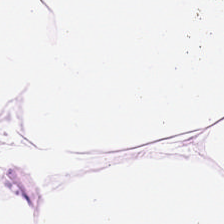Hematoxylin-and-eosin stained section — The tissue is adipose.
